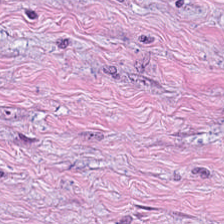Tissue = tumor-associated stroma.
